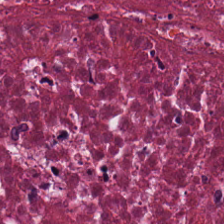The tissue class is cellular debris.
